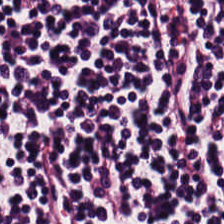Hematoxylin-and-eosin stained section. This field is lymphocytes.
